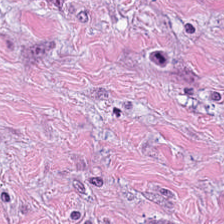224×224 pixel tile. H&E-stained tissue section — The classification is desmoplastic stroma.
